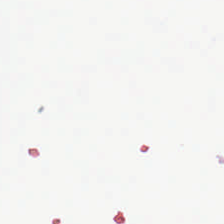FFPE tissue section; H&E stain. Finding → no tissue.
